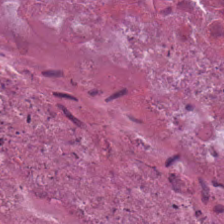Q: What does this patch show?
A: This is necrotic debris.
